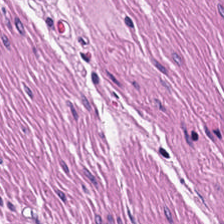0.5 µm per pixel. FFPE tissue section. H&E-stained tissue section — Predominant tissue: smooth-muscle tissue.
